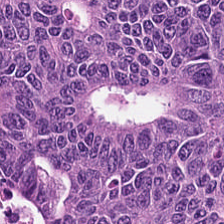{"tissue_type": "colorectal adenocarcinoma epithelium"}
